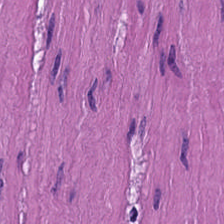Stain: hematoxylin-and-eosin stained section.
Acquisition: WSI patch.
Preparation: FFPE tissue section.
Classification: muscularis.
